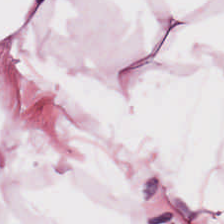H&E-stained tissue section. The predominant tissue is adipose.
